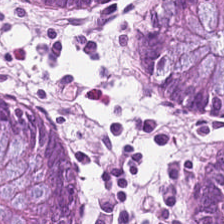Q: Classify this patch.
A: Non-neoplastic colon mucosa.
